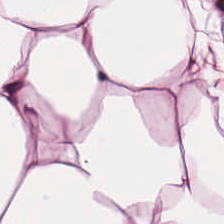0.5 µm/px; hematoxylin-and-eosin stained section; 224×224 pixel tile — Tissue class = adipose tissue.
